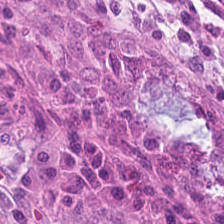Hematoxylin-and-eosin stained section · FFPE tissue section — {"tissue_type": "benign colonic mucosa"}
